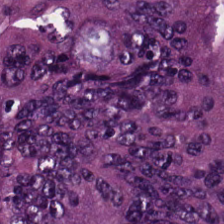Tissue type — colorectal adenocarcinoma.
